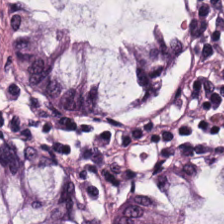The tissue here is normal colon mucosa.
